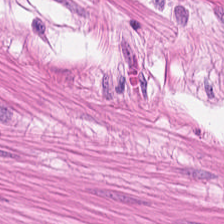Stain: hematoxylin and eosin.
Predominant tissue: smooth-muscle tissue.
